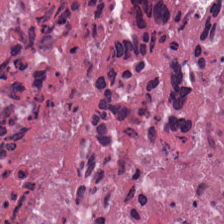H&E; 0.5 µm per pixel.
The tissue is necrotic debris.
